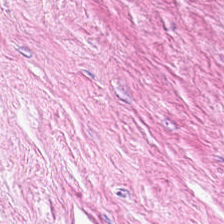H&E stain — Tumor stroma.
